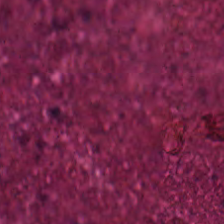H&E · brightfield — Predominantly cellular debris.
